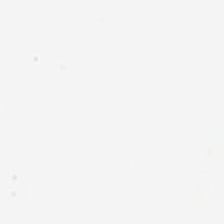Hematoxylin and eosin — Empty field — no tissue.
